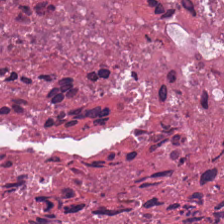H&E stain.
Finding → debris.
